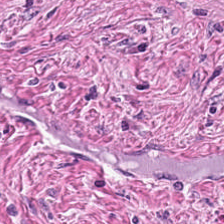Predominantly desmoplastic stroma.
